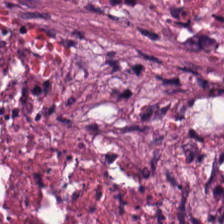H&E patch showing necrotic debris.
